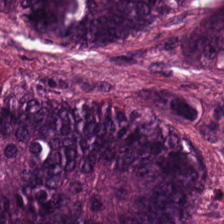Stain: hematoxylin and eosin.
Preparation: formalin-fixed paraffin-embedded section.
Resolution: 20× equivalent magnification.
Tissue: colorectal adenocarcinoma.
